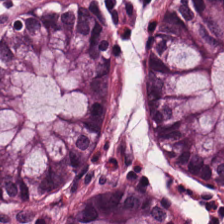This field is normal colon mucosa.
